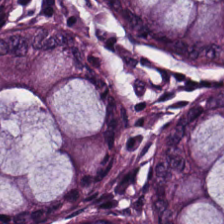WSI patch. Hematoxylin-and-eosin stained section. Q: What is shown in this field?
A: The field shows normal colonic mucosa.
